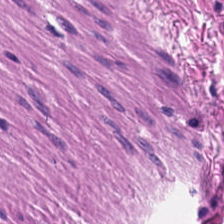H&E. WSI patch.
This field is smooth-muscle tissue.
